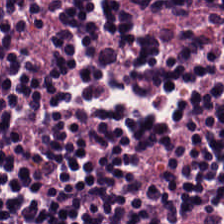Tissue — lymphoid infiltrate.
